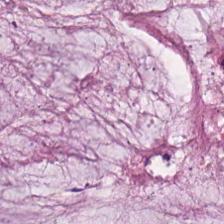Stain: hematoxylin and eosin.
Tissue class: extracellular mucin.
